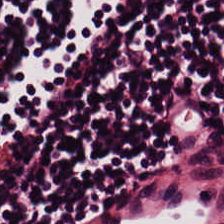Hematoxylin and eosin · FFPE tissue section · 224×224 px patch — Tissue — lymphocyte aggregate.
